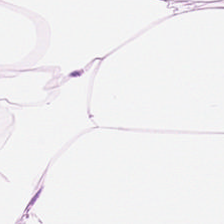Stain: H&E.
Acquisition: WSI patch.
Tile size: 224×224 px patch.
Tissue: adipose.
